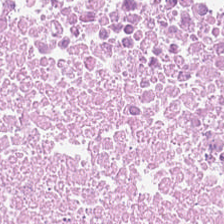Hematoxylin-and-eosin stained section — Necrotic debris.
